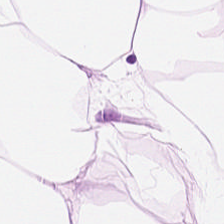H&E.
This field is adipose.
